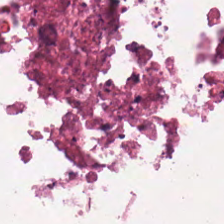Hematoxylin-and-eosin stained section. Q: What is shown in this field?
A: It is debris.
